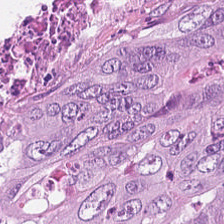H&E; 224×224 px patch.
Q: What is the predominant tissue type?
A: Colorectal adenocarcinoma epithelium.
